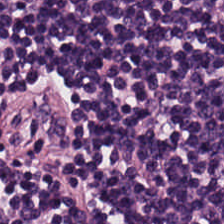WSI patch · H&E-stained tissue section. Tissue class = lymphocyte aggregate.
